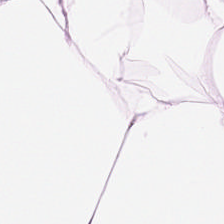Hematoxylin and eosin.
Predominantly adipocytes.
